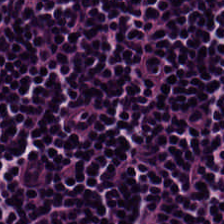FFPE tissue section; H&E stain — Histology → lymphocytic infiltrate.
